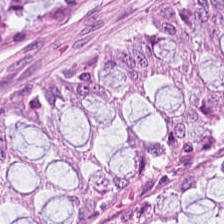Hematoxylin and eosin. 224×224 px patch.
Q: What tissue is shown?
A: The field shows benign colonic mucosa.
